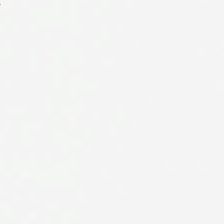Empty background.
